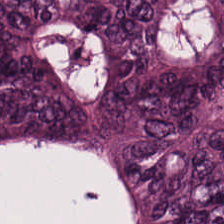Showing colorectal adenocarcinoma.
